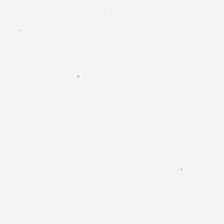Whole-slide-image patch; H&E; formalin-fixed paraffin-embedded section — Histology — background.
